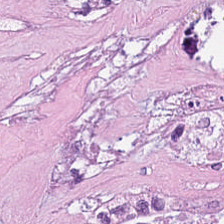Q: What is the predominant tissue type?
A: The field shows necrotic debris.
